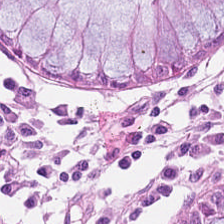H&E. Brightfield microscopy.
Finding → normal colon mucosa.
